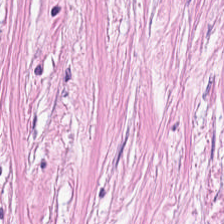224×224 px patch · H&E. Showing desmoplastic stroma.
